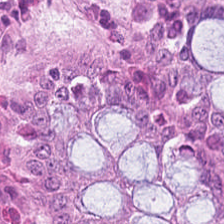H&E stain.
Q: What is shown here?
A: It is normal colonic mucosa.
